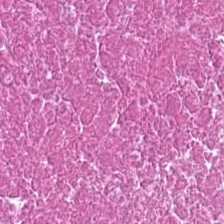H&E-stained tissue section — Q: What does this patch show?
A: This is necrotic debris.
